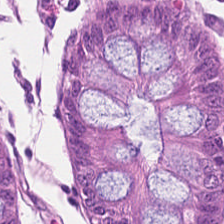Hematoxylin-and-eosin stained section · FFPE · 224×224 px tile.
Tissue type: normal colonic mucosa.
